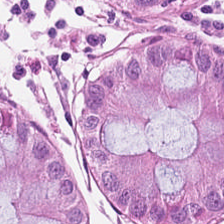H&E stain · 224×224 pixel tile — Showing normal colonic mucosa.
